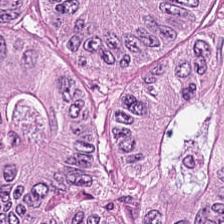224×224 px tile. 20× equivalent magnification. H&E — Q: Classify this patch.
A: This is malignant epithelium.
